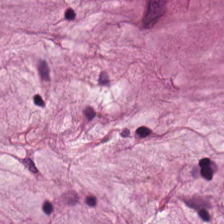224×224 pixel tile. WSI patch. Hematoxylin and eosin. Q: Classify this patch.
A: Mucus.
